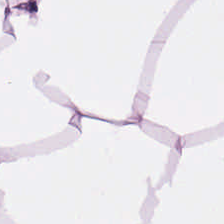H&E — adipose tissue.
